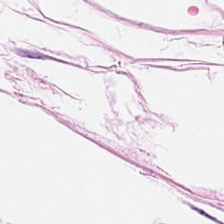H&E stain.
Adipocytes.
